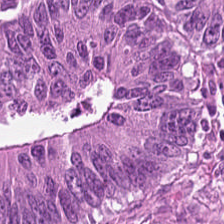H&E stain.
Classification: colorectal adenocarcinoma epithelium.
